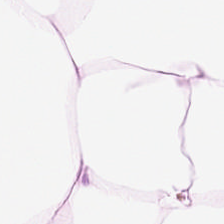{"tissue_type": "adipose"}
